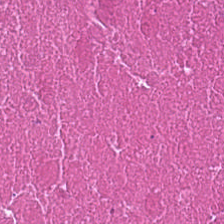Stain: H&E.
Tissue type: necrotic debris.
